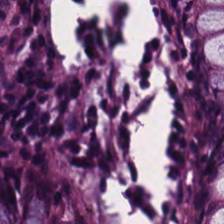Tissue class: normal colon mucosa.
